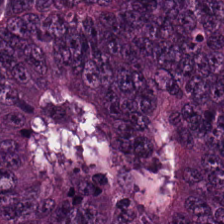224×224 pixel tile; hematoxylin-and-eosin stained section — The predominant tissue is tumor epithelium.
